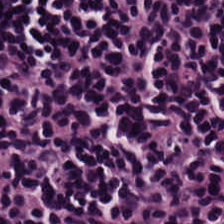224×224 px patch. FFPE. H&E stain. Classification: lymphocytic infiltrate.
